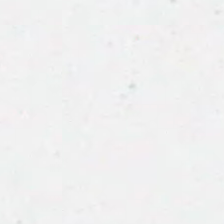Q: What is shown in this field?
A: The field shows empty background.
